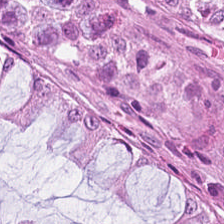0.5 microns per pixel; hematoxylin and eosin. Finding — normal colon mucosa.
